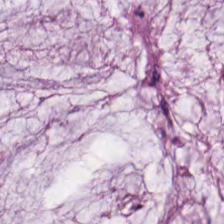Tissue class — mucus.
